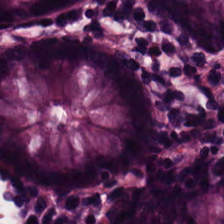Hematoxylin and eosin.
Impression — normal colonic mucosa.
